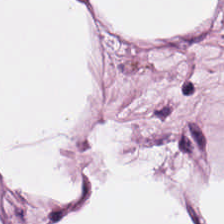Hematoxylin and eosin · 224×224 px tile.
This field is adipose tissue.
